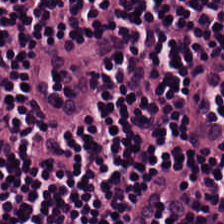Stain: H&E stain.
Tissue class: lymphocytes.
